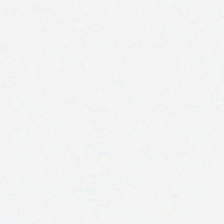H&E.
The field content is no tissue.
